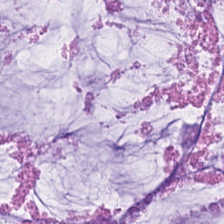H&E patch showing mucus.
